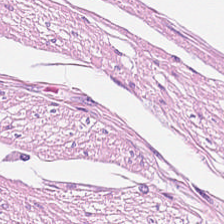H&E — Finding — muscularis.
